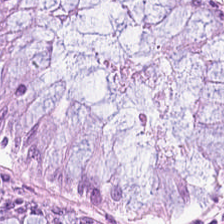Hematoxylin-and-eosin section: benign colonic mucosa.
